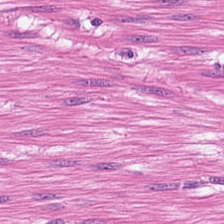H&E · brightfield. The predominant tissue is smooth muscle.
